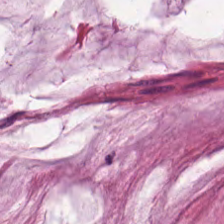H&E-stained tissue section.
The predominant tissue is mucus.
